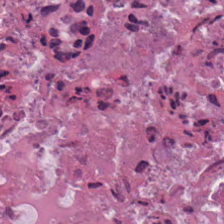Hematoxylin-and-eosin stained section. 0.5 µm per pixel. {"tissue_type": "necrotic debris"}
